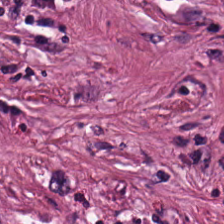Stain: hematoxylin-and-eosin stained section.
Tissue type: tumor-associated stroma.
